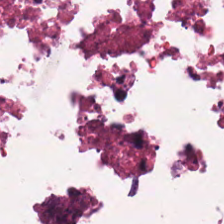Hematoxylin-and-eosin stained section · formalin-fixed paraffin-embedded section.
Q: What is the predominant tissue type?
A: Cellular debris.
